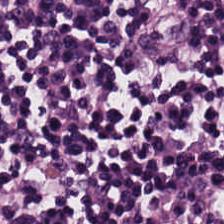H&E-stained tissue section. {"tissue_type": "lymphocytes"}
